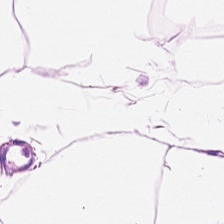224×224 px tile. H&E-stained tissue section. FFPE tissue section.
The predominant tissue is adipose tissue.
